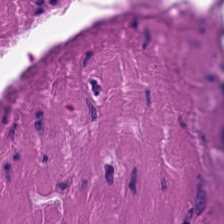H&E-stained tissue section — This patch shows muscularis.
